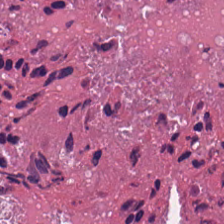Hematoxylin and eosin. Necrotic debris.
